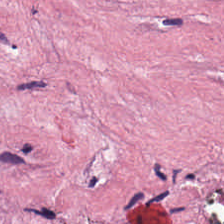Brightfield · 20× equivalent magnification · H&E-stained tissue section. Histology → desmoplastic stroma.
